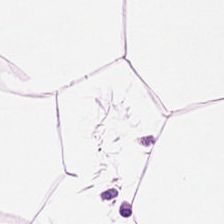Hematoxylin-and-eosin stained section. 224×224 px tile. {"tissue_type": "adipocytes"}
